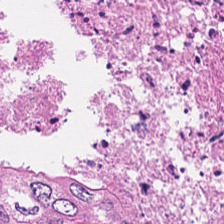Whole-slide-image patch. Hematoxylin-and-eosin stained section. Tissue type: cellular debris.
